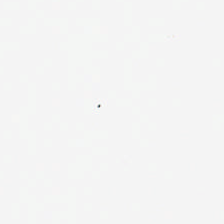H&E. Q: What is shown in this field?
A: It is empty background.
